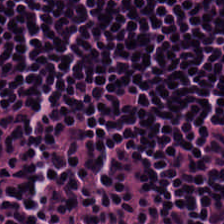224×224 px tile; H&E; FFPE tissue section — Q: What type of tissue is this?
A: It is lymphocytic infiltrate.
